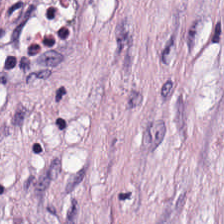This patch shows cancer-associated stroma.
